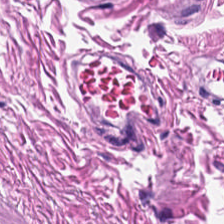H&E stain.
Tissue class — smooth-muscle tissue.
